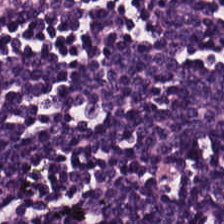Stain: H&E stain.
Classification: lymphocyte aggregate.
